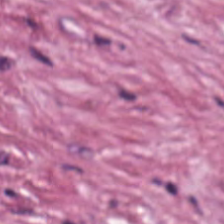Hematoxylin and eosin · 224×224 pixel tile. This field is cancer-associated stroma.
